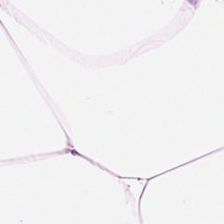Impression → adipose.
